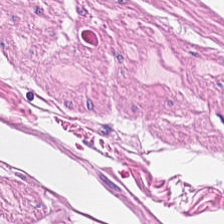H&E.
Q: What is shown in this field?
A: This is smooth-muscle tissue.
